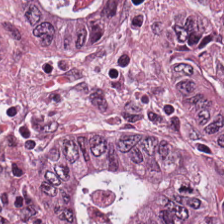Tissue type: tumor epithelium.
